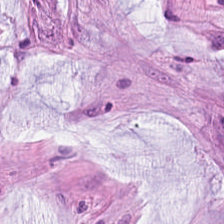Stain: H&E stain.
Tissue type: extracellular mucin.
